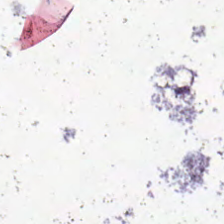Stain: H&E-stained tissue section.
Field content: empty background.
